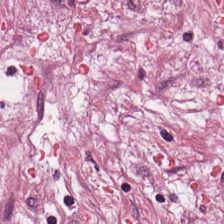H&E stain. Tissue type — desmoplastic stroma.
